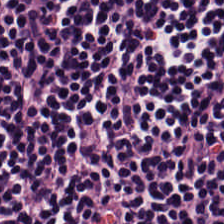H&E; 0.5 microns per pixel. The classification is lymphocytes.
